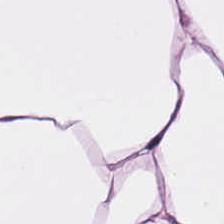Formalin-fixed paraffin-embedded section · H&E-stained tissue section · 224×224 pixel tile — The predominant tissue is adipocytes.
